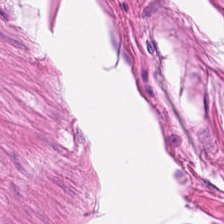H&E stain; 0.5 µm/px.
Predominant tissue — smooth muscle.
